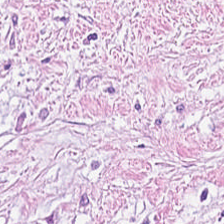224×224 px tile; H&E stain. Q: What tissue type is shown here?
A: The field shows tumor stroma.
